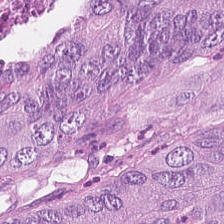Histology → colorectal adenocarcinoma.
